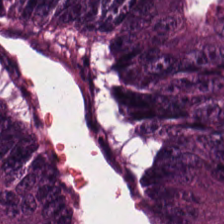Hematoxylin and eosin.
Histology — colorectal adenocarcinoma epithelium.
